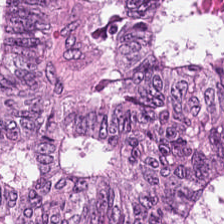H&E stain · 0.5 microns per pixel — The tissue here is colorectal adenocarcinoma epithelium.
